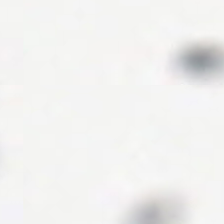Stain: hematoxylin-and-eosin stained section.
Field content: background.
